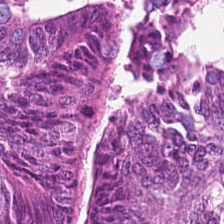Tissue type — tumor epithelium.
